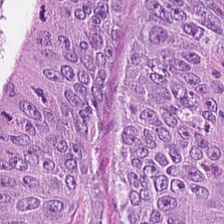Q: What tissue is shown?
A: It is adenocarcinoma.
